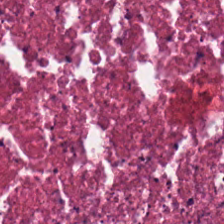Hematoxylin and eosin — Predominantly cellular debris.
